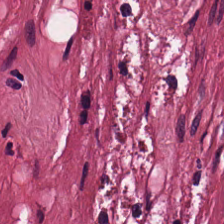Q: Identify the tissue.
A: Tumor-associated stroma.
